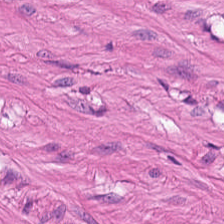224×224 px patch. H&E-stained tissue section. Tissue: muscularis.
